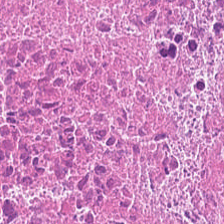Stain: H&E stain.
Preparation: FFPE.
Tissue class: debris.
